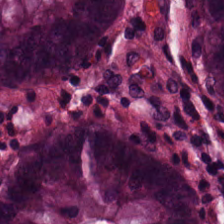H&E · WSI patch · FFPE tissue section.
Normal colonic mucosa.
